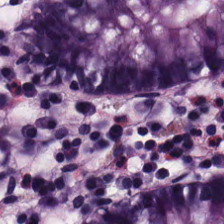Stain: H&E stain.
Preparation: FFPE tissue section.
Resolution: 0.5 µm/px.
Predominant tissue: benign colonic mucosa.
